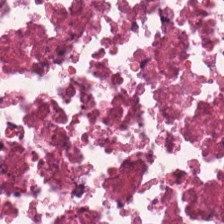224×224 px tile; H&E-stained tissue section; brightfield. Q: Identify the tissue.
A: It is debris.
